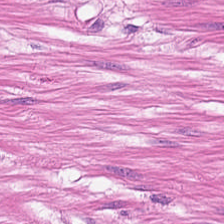Hematoxylin and eosin — Smooth-muscle tissue.
